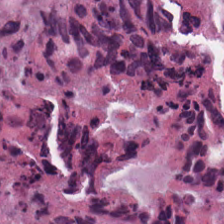Hematoxylin-and-eosin stained section; 224×224 px tile.
Necrotic debris.
